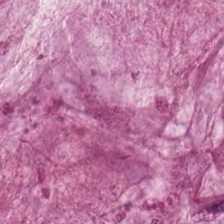Predominant tissue — mucus.
